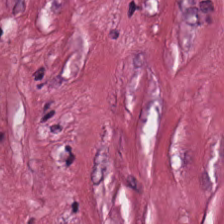H&E-stained tissue section — Histology → tumor-associated stroma.
